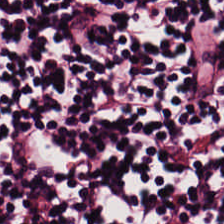Whole-slide-image patch · H&E-stained tissue section. Predominant tissue — lymphoid infiltrate.
